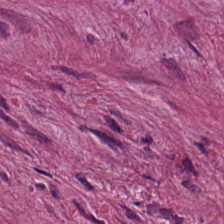H&E-stained tissue section.
Finding — desmoplastic stroma.
